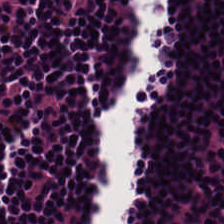H&E-stained tissue section.
Showing lymphocytic infiltrate.
